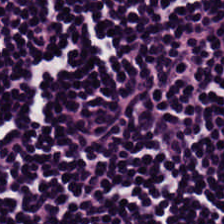0.5 microns per pixel · hematoxylin and eosin. This field is lymphocytes.
